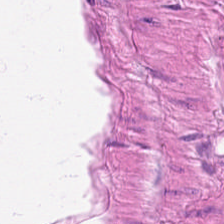H&E-stained tissue section — This patch shows smooth-muscle tissue.
